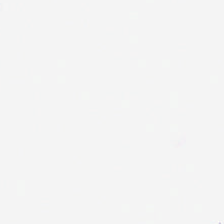Q: Classify this patch.
A: Background.
